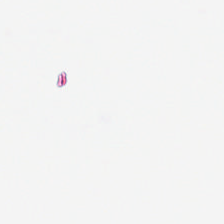H&E-stained tissue section.
This patch shows no tissue.
